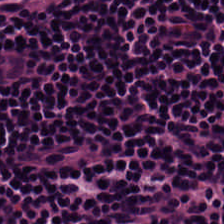224×224 pixel tile. Hematoxylin-and-eosin stained section. Brightfield microscopy — Finding — lymphocytes.
